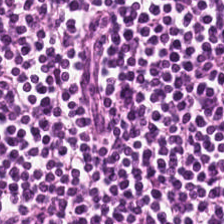Showing lymphoid infiltrate.
